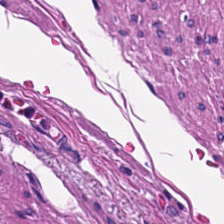Q: What tissue is shown?
A: This is smooth muscle.
